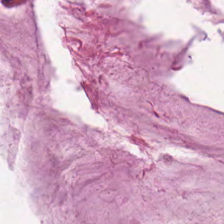Stain: H&E-stained tissue section.
Tissue type: extracellular mucin.
